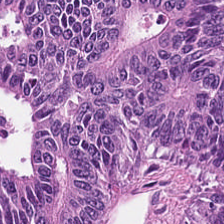Hematoxylin-and-eosin stained section — This field is tumor epithelium.
